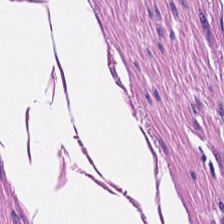H&E; 0.5 µm per pixel; formalin-fixed paraffin-embedded section. Q: Classify this patch.
A: The field shows smooth-muscle tissue.
